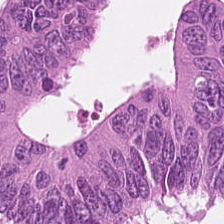H&E-stained tissue section. Brightfield. 224×224 px tile — Histology → adenocarcinoma.
